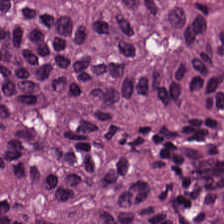Hematoxylin-and-eosin stained section.
Q: What tissue type is shown here?
A: The field shows malignant epithelium.
